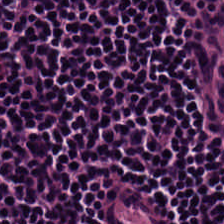FFPE tissue section · H&E-stained tissue section.
Finding → lymphoid infiltrate.
